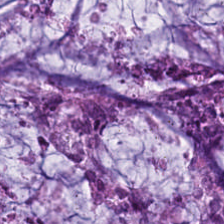FFPE tissue section; WSI patch; H&E — Showing mucin.
